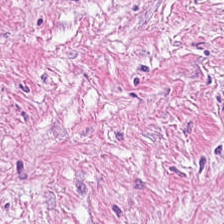WSI patch. H&E stain. 224×224 px tile.
{"tissue_type": "desmoplastic stroma"}
